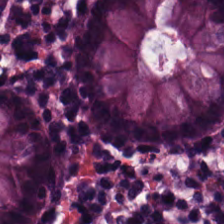0.5 µm/px · hematoxylin-and-eosin stained section. The tissue here is non-neoplastic colon mucosa.
